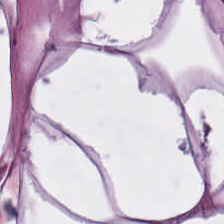Histology — adipose.
